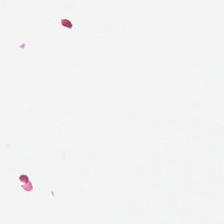H&E-stained tissue section — Content — background.
